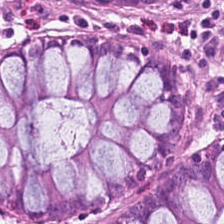Tissue: non-neoplastic colon mucosa.
